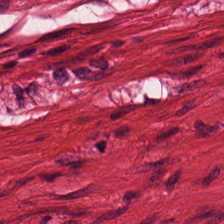H&E-stained tissue section.
Histology → muscularis.
